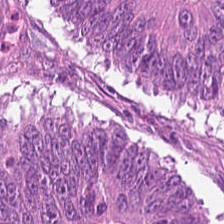Hematoxylin and eosin. Classification: tumor epithelium.
